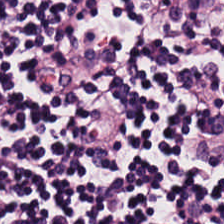H&E stain — Showing lymphocytic infiltrate.
